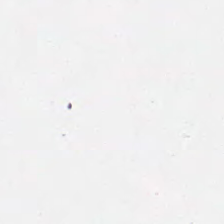H&E-stained tissue section — Q: What is shown here?
A: This is no tissue.
